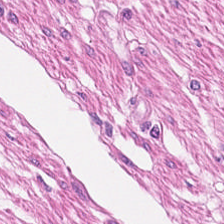H&E. FFPE tissue section — Tissue: smooth-muscle tissue.
